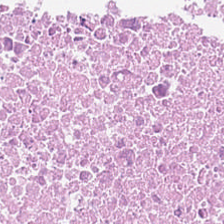Hematoxylin-and-eosin stained section — Classification: necrotic debris.
